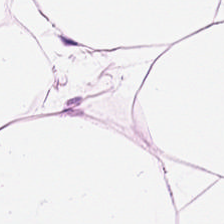H&E stain.
Predominantly adipose tissue.
